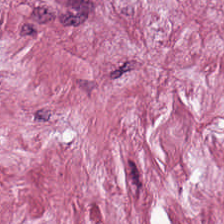0.5 µm per pixel; H&E stain. Q: What does this patch show?
A: The field shows tumor-associated stroma.
